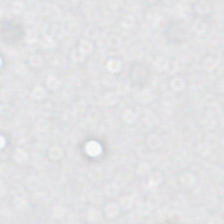FFPE tissue section. H&E.
This patch shows no tissue.
